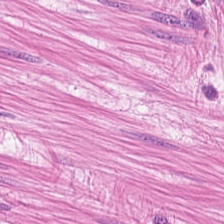This field is muscularis.
